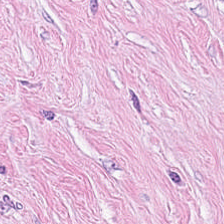H&E.
The tissue class is tumor stroma.
